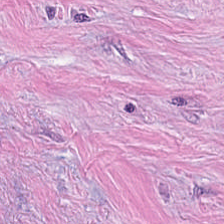H&E. Tissue: tumor-associated stroma.
